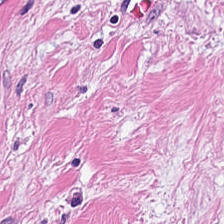H&E — desmoplastic stroma.
